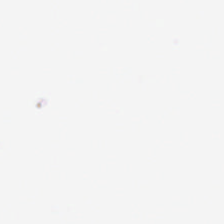Hematoxylin-and-eosin stained section. No tissue present; background only.
